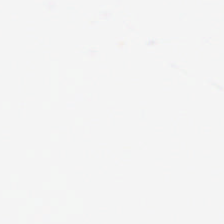H&E-stained tissue section — Q: Classify this patch.
A: This is empty background.
